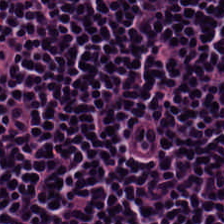H&E-stained tissue section — Finding — lymphocytes.
